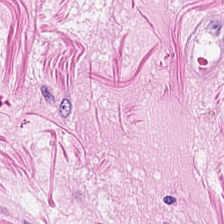H&E-stained tissue section.
Tissue class: muscularis.
